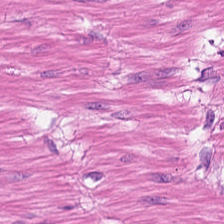{"tissue_type": "smooth muscle"}
